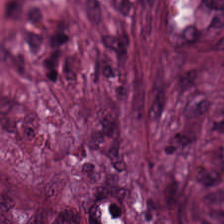Stain: H&E.
Preparation: FFPE.
Predominant tissue: desmoplastic stroma.
